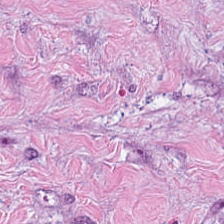Hematoxylin-and-eosin stained section.
Finding → tumor-associated stroma.
